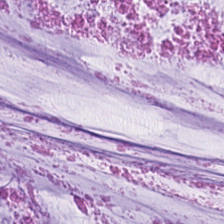Brightfield microscopy · H&E. This patch shows mucin.
